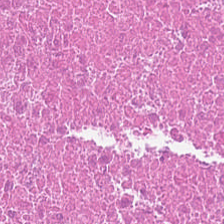{"tissue_type": "cellular debris"}
